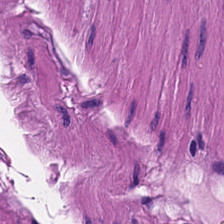Tissue class — smooth-muscle tissue.
